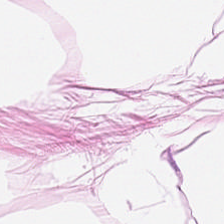The predominant tissue is adipocytes.
